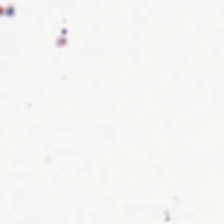Stain: H&E stain.
Content: no tissue.
